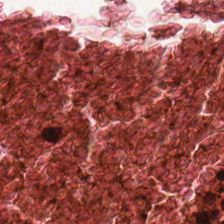H&E stain.
The tissue here is cellular debris.
